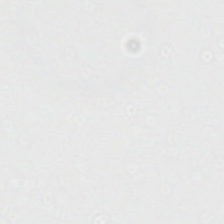Q: What does this patch show?
A: It is empty background.
